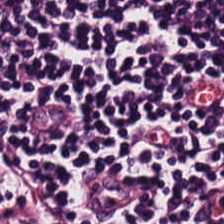Hematoxylin and eosin.
The predominant tissue is lymphocyte aggregate.
